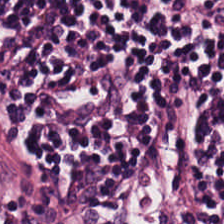H&E-stained tissue section — Lymphocytes.
